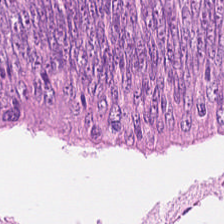Hematoxylin-and-eosin stained section — Adenocarcinoma.
